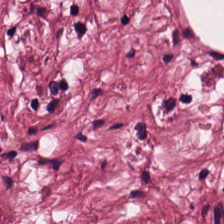FFPE; hematoxylin-and-eosin stained section.
This patch shows tumor stroma.
